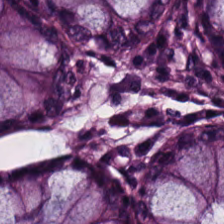Stain: H&E stain.
Tile size: 224×224 px tile.
Acquisition: brightfield microscopy.
Tissue: normal colonic mucosa.
